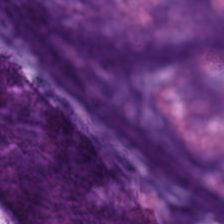Hematoxylin-and-eosin stained section · 0.5 µm/px. The tissue here is mucin.
